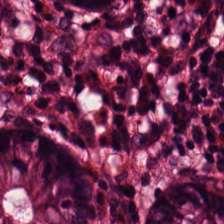FFPE tissue section; WSI patch; H&E stain. Impression — normal colonic mucosa.
